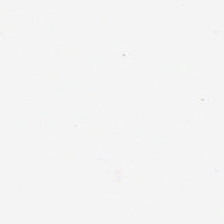H&E-stained tissue section. 0.5 µm/px. 224×224 px patch — {"content": "background"}
